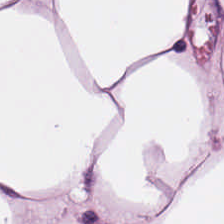H&E-stained tissue section — Tissue type: adipocytes.
